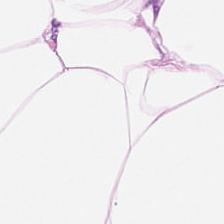Stain: hematoxylin-and-eosin stained section.
Tissue: adipocytes.
